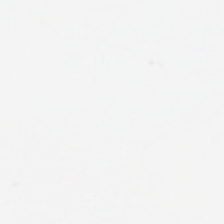H&E-stained tissue section. 0.5 µm per pixel.
Impression → background.
